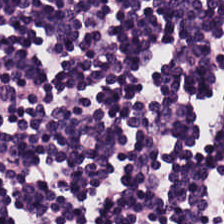This field is lymphocytic infiltrate.
